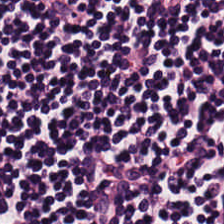H&E patch showing lymphocytic infiltrate.
